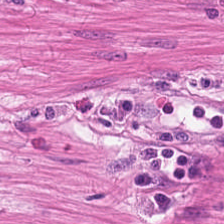H&E-stained tissue section — This patch shows smooth muscle.
